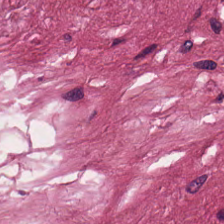H&E stain. This field is cancer-associated stroma.
